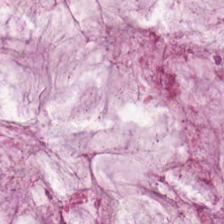H&E-stained tissue section; 224×224 pixel tile.
Tissue type: extracellular mucin.
